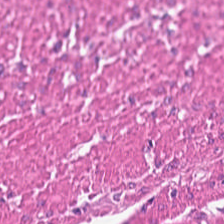H&E-stained tissue section showing muscularis.
